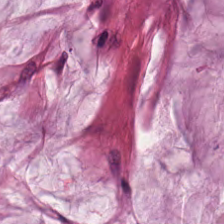Stain: H&E stain.
Resolution: 0.5 µm/px.
Tissue class: mucus.
